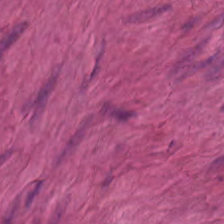H&E-stained tissue section · WSI patch.
Showing smooth muscle.
